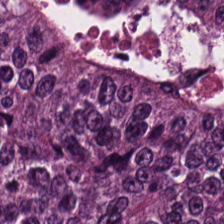H&E-stained tissue section. Brightfield. FFPE.
Q: What type of tissue is this?
A: Colorectal adenocarcinoma epithelium.
